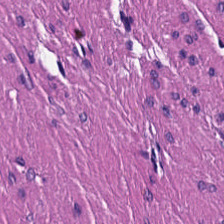H&E stain · 224×224 pixel tile · 20× equivalent magnification. The tissue is smooth muscle.
